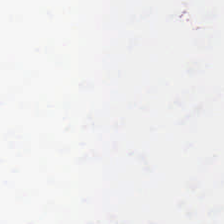224×224 px tile; hematoxylin-and-eosin stained section — This patch shows empty background.
